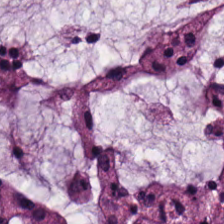H&E stain · WSI patch. The tissue here is mucus.
